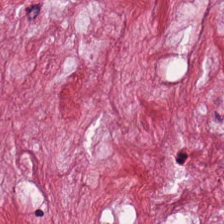WSI patch. Hematoxylin and eosin. 224×224 pixel tile.
Histology — tumor-associated stroma.
